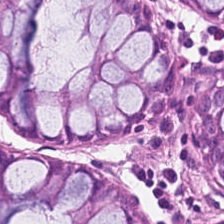H&E-stained tissue section.
Tissue — normal colonic mucosa.
